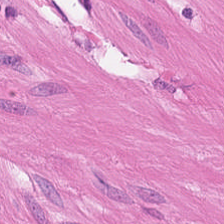Stain: hematoxylin and eosin.
Tissue: smooth-muscle tissue.
